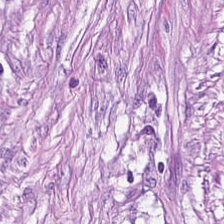Hematoxylin-and-eosin stained section. This patch shows cancer-associated stroma.
